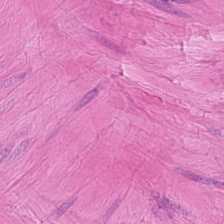H&E stain — This patch shows smooth muscle.
